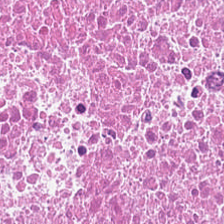Tissue type = necrotic debris.
